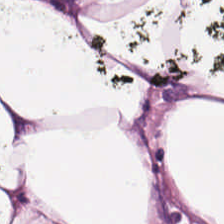Hematoxylin-and-eosin stained section. Predominantly adipocytes.
